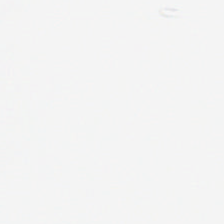H&E-stained tissue section — Histology → empty background.
